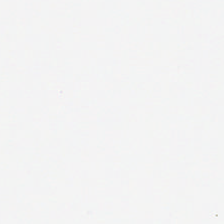H&E; FFPE tissue section.
Impression — background (no tissue).
